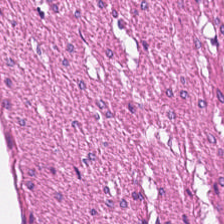H&E-stained tissue section · 224×224 px tile · 0.5 µm per pixel. Smooth-muscle tissue.
